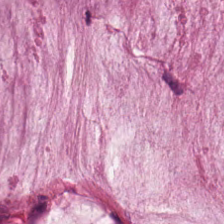H&E stain.
Q: What type of tissue is this?
A: The field shows extracellular mucin.
